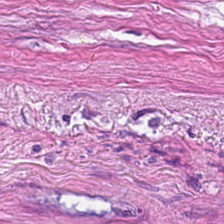Stain: hematoxylin and eosin.
Acquisition: WSI patch.
Tissue: cancer-associated stroma.
